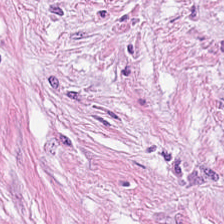Brightfield · 224×224 px patch · H&E. Q: What type of tissue is this?
A: This is tumor stroma.
